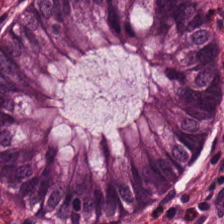H&E stain — The tissue here is normal colonic mucosa.
